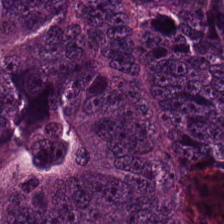Hematoxylin and eosin; WSI patch.
Q: What is shown here?
A: The field shows adenocarcinoma.
